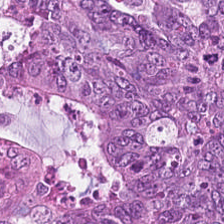FFPE; 224×224 px patch; hematoxylin-and-eosin stained section. Showing tumor epithelium.
